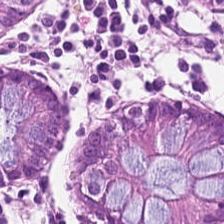Hematoxylin-and-eosin stained section — Histology — benign colonic mucosa.
